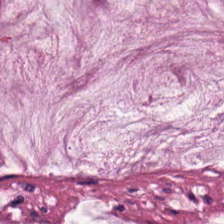Predominant tissue: mucin.
